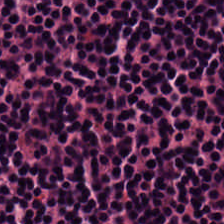H&E-stained tissue section showing lymphocyte aggregate.
